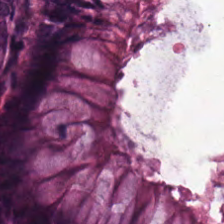H&E-stained section; the field shows benign colonic mucosa.
